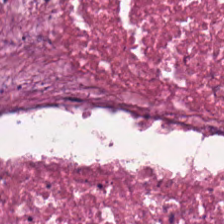H&E stain; 224×224 px tile; FFPE.
Q: What tissue type is shown here?
A: It is necrotic debris.
